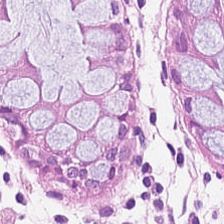H&E.
Predominantly normal colon mucosa.
